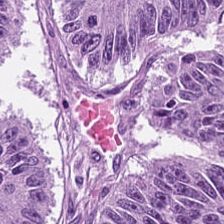Hematoxylin-and-eosin stained section; 224×224 pixel tile. Impression — colorectal adenocarcinoma epithelium.
